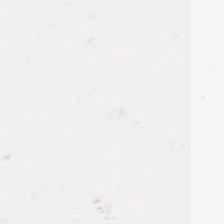H&E-stained tissue section.
Background — no tissue in this field.
